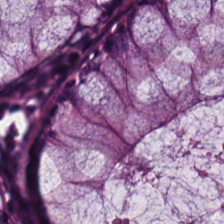Tissue — normal colonic mucosa.
